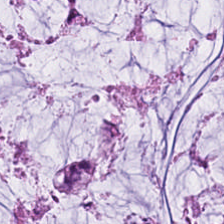Stain: H&E-stained tissue section.
Tissue type: extracellular mucin.
